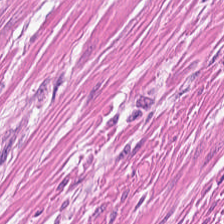The predominant tissue is smooth-muscle tissue.
